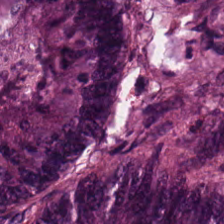Q: Classify this patch.
A: Adenocarcinoma.
